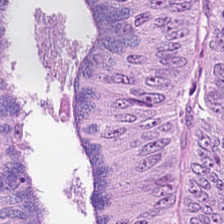H&E — Predominant tissue: colorectal adenocarcinoma epithelium.
